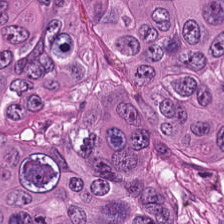The predominant tissue is malignant epithelium.
